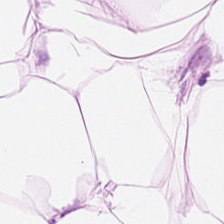H&E-stained section; the field shows fat tissue.
